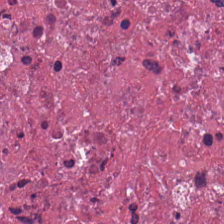Hematoxylin-and-eosin stained section · 0.5 microns per pixel — Cellular debris.
